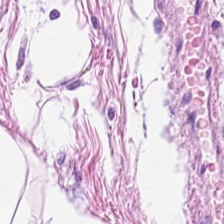Hematoxylin-and-eosin stained section.
Tissue: fat tissue.
